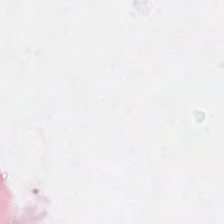0.5 microns per pixel · H&E.
Classification — no tissue.
